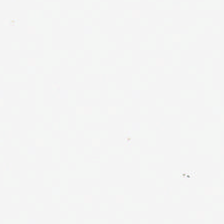H&E stain.
Histology → empty background.
